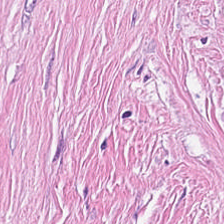H&E-stained tissue section. This field is cancer-associated stroma.
